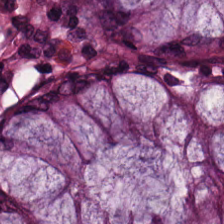H&E-stained tissue section · brightfield microscopy. Tissue — benign colonic mucosa.
